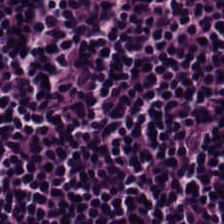H&E-stained tissue section.
Q: Identify the tissue.
A: This is lymphocytes.
